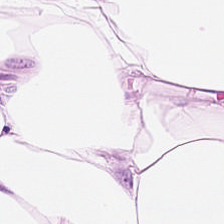Tissue — fat tissue.
